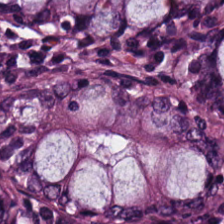Hematoxylin and eosin.
Normal colonic mucosa.
